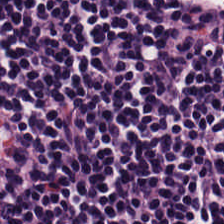WSI patch · H&E-stained tissue section · FFPE tissue section — Q: What is shown here?
A: Lymphocyte aggregate.
